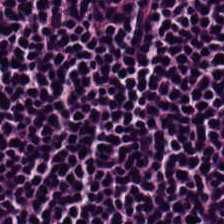H&E stain.
This patch shows lymphoid infiltrate.
